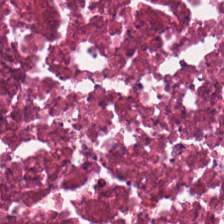Hematoxylin-and-eosin stained section; formalin-fixed paraffin-embedded section; 224×224 px patch — Q: Classify this patch.
A: This is necrotic debris.
